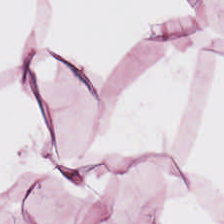This field is fat tissue.
